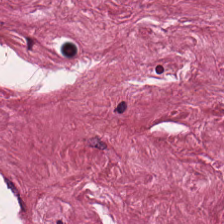H&E-stained tissue section. 20× equivalent magnification — Q: What type of tissue is this?
A: The field shows tumor-associated stroma.
